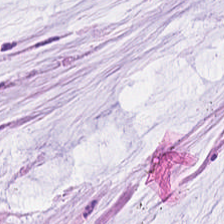H&E stain.
Predominant tissue: mucin.
